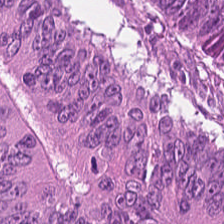{"tissue_type": "adenocarcinoma"}
